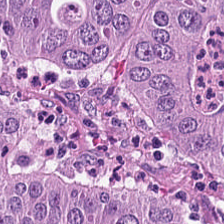Q: What tissue is shown?
A: Colorectal adenocarcinoma epithelium.
